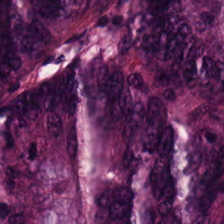Hematoxylin and eosin — Q: What is shown in this field?
A: The field shows colorectal adenocarcinoma epithelium.
